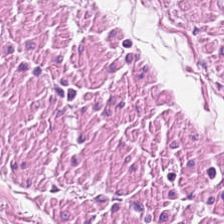H&E-stained tissue section. The tissue type is smooth muscle.
